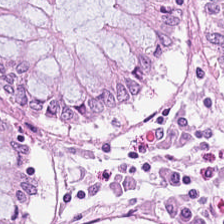WSI patch; H&E-stained tissue section. Impression → non-neoplastic colon mucosa.
